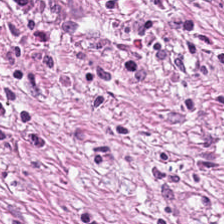Whole-slide-image patch. FFPE tissue section. Hematoxylin and eosin.
Q: Identify the tissue.
A: The field shows cancer-associated stroma.
